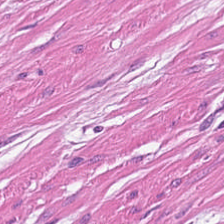H&E stain — Q: What is the predominant tissue type?
A: It is muscularis.
